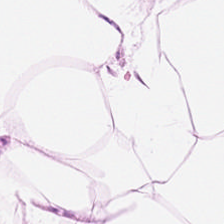FFPE tissue section; 224×224 px tile; H&E stain. Predominantly adipocytes.
